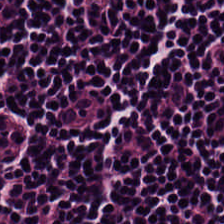H&E-stained tissue section.
Q: What is shown here?
A: This is lymphocytes.
